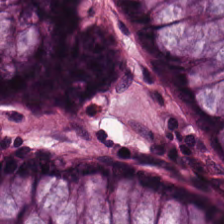The predominant tissue is normal colon mucosa.
